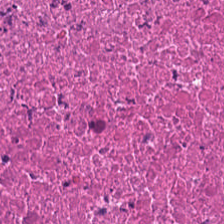{"tissue_type": "necrotic debris"}
